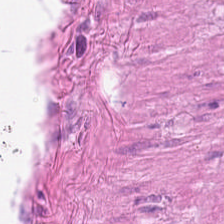Hematoxylin and eosin — This patch shows muscularis.
